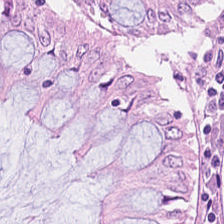H&E-stained tissue section — This field is normal colon mucosa.
